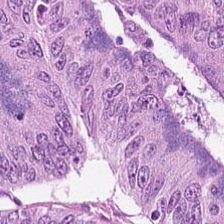WSI patch. Hematoxylin-and-eosin stained section.
Predominantly adenocarcinoma.
